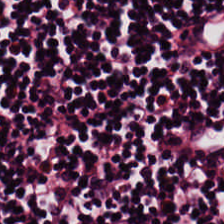H&E-stained tissue section · FFPE.
Histology — lymphocytes.
